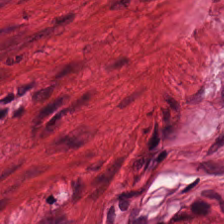H&E stain. This patch shows smooth-muscle tissue.
